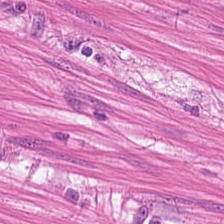Hematoxylin and eosin.
Showing muscularis.
